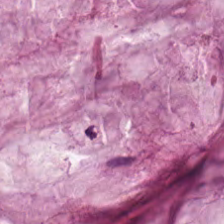Hematoxylin-and-eosin stained section — The predominant tissue is extracellular mucin.
